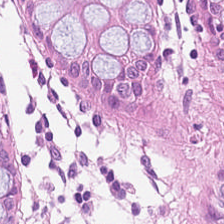Hematoxylin-and-eosin stained section.
The predominant tissue is normal colon mucosa.
